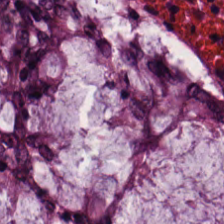Hematoxylin and eosin · 0.5 µm/px. Classification = normal colonic mucosa.
